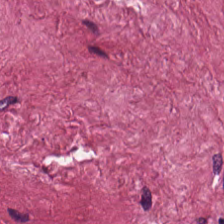Stain: H&E stain.
Tissue type: tumor-associated stroma.
